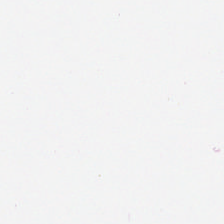H&E-stained tissue section — Q: Classify this patch.
A: The field shows background.
